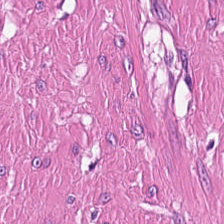FFPE tissue section · hematoxylin-and-eosin stained section — Q: What tissue type is shown here?
A: This is smooth muscle.
